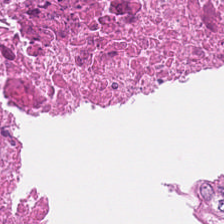20× equivalent magnification; H&E-stained tissue section; FFPE.
Histology — debris.
